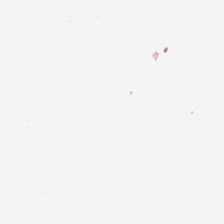Stain: hematoxylin and eosin.
Preparation: FFPE tissue section.
Field content: background (no tissue).
